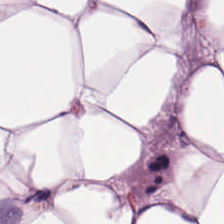H&E. Predominant tissue = adipose.
